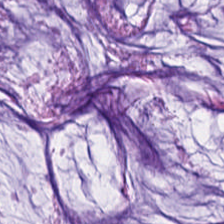H&E-stained tissue section — The tissue here is mucin.
